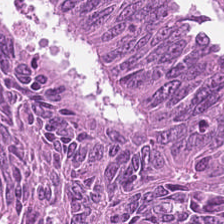Hematoxylin and eosin. 0.5 µm per pixel. This patch shows tumor epithelium.
